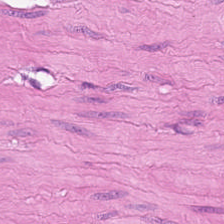Hematoxylin and eosin — Q: What does this patch show?
A: The field shows smooth-muscle tissue.
